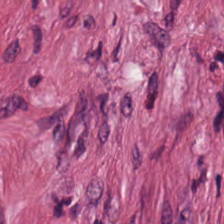Hematoxylin and eosin · formalin-fixed paraffin-embedded section — Tissue = tumor stroma.
